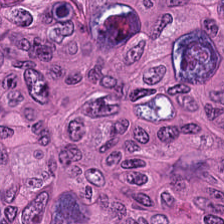Stain: hematoxylin-and-eosin stained section.
Predominant tissue: malignant epithelium.
